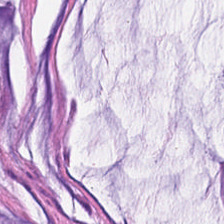Tissue: mucus.
